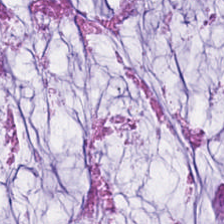Predominant tissue = extracellular mucin.
